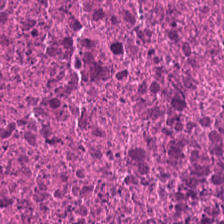H&E-stained tissue section · 0.5 microns per pixel — Q: What is shown here?
A: The field shows debris.
